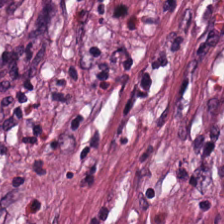H&E stain — Tumor stroma.
